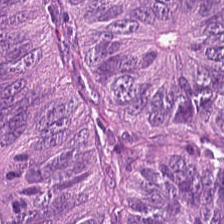Hematoxylin-and-eosin stained section — Q: What does this patch show?
A: It is adenocarcinoma.
